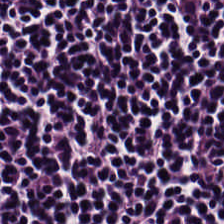Hematoxylin-and-eosin stained section. Classification — lymphocyte aggregate.
